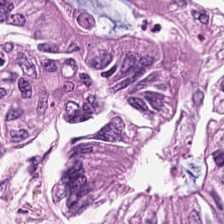Predominant tissue: colorectal adenocarcinoma.
